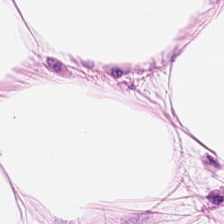0.5 µm per pixel. FFPE tissue section. H&E stain. Fat tissue.
